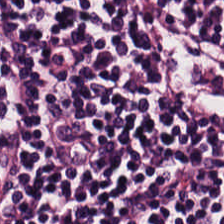Classification = lymphocytes.
